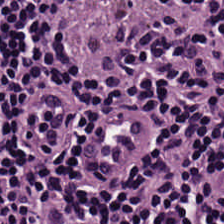Hematoxylin-and-eosin stained section. Q: What tissue is shown?
A: This is lymphocytic infiltrate.
